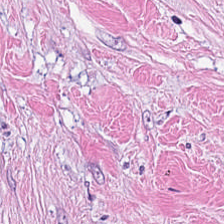Hematoxylin-and-eosin stained section — This patch shows tumor stroma.
